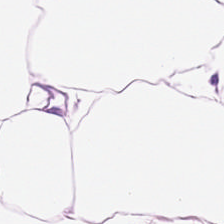FFPE tissue section · hematoxylin and eosin. Predominant tissue: adipocytes.
